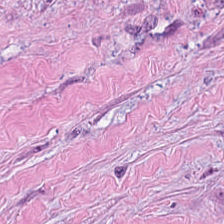Tissue type: desmoplastic stroma.
